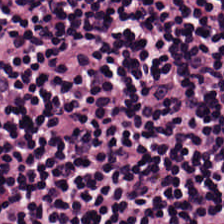H&E-stained tissue section. Tissue type — lymphocytes.
